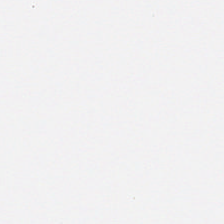Background — no tissue in this field.
